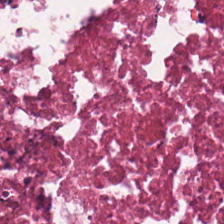FFPE. H&E stain — Showing cellular debris.
